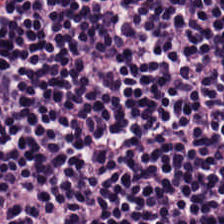H&E-stained tissue section showing lymphocyte aggregate.
